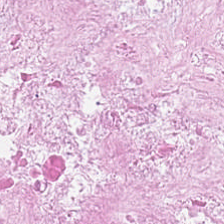H&E stain. WSI patch. This patch shows cellular debris.
